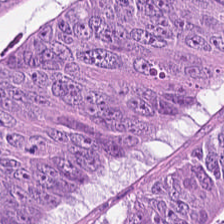Whole-slide-image patch; 0.5 µm per pixel; hematoxylin and eosin — Q: Identify the tissue.
A: It is adenocarcinoma.
